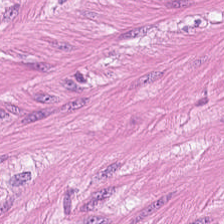H&E-stained tissue section showing smooth muscle.
